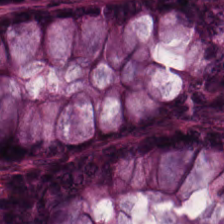H&E. This field is non-neoplastic colon mucosa.
